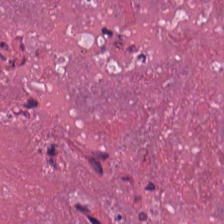H&E; 224×224 pixel tile. Q: What tissue type is shown here?
A: Necrotic debris.
